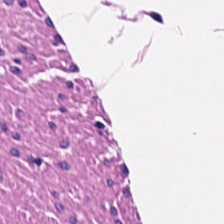Predominantly muscularis.
